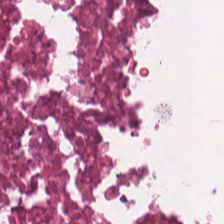Tissue class — debris.
